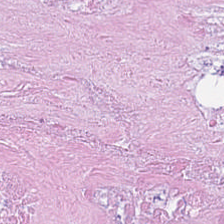Formalin-fixed paraffin-embedded section; H&E stain; 224×224 px patch — Tissue type = debris.
